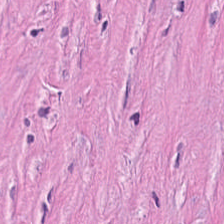H&E-stained tissue section — Tissue type — cancer-associated stroma.
